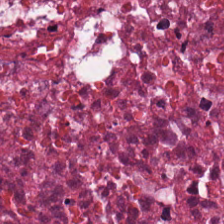Brightfield; 224×224 px tile; hematoxylin-and-eosin stained section. Q: Classify this patch.
A: The field shows debris.
